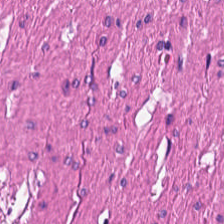H&E · FFPE · brightfield — Histology — smooth-muscle tissue.
